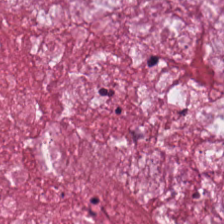H&E.
Tissue class: mucus.
